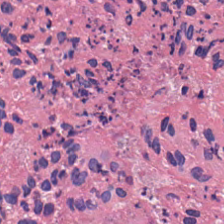Hematoxylin-and-eosin stained section — Debris.
